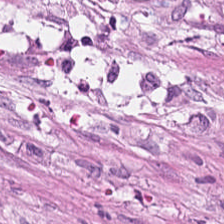This patch shows tumor-associated stroma.
